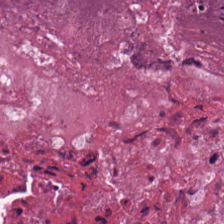Stain: hematoxylin-and-eosin stained section.
Acquisition: WSI patch.
Resolution: 0.5 microns per pixel.
Tissue: cellular debris.
